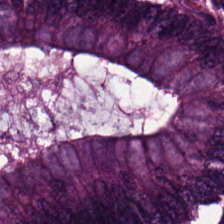H&E-stained tissue section.
Q: What tissue type is shown here?
A: Malignant epithelium.
